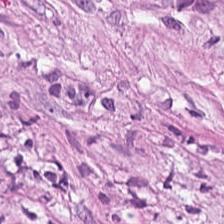H&E stain.
Predominantly tumor stroma.
